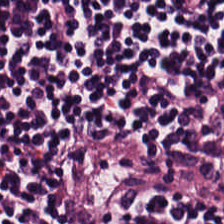Hematoxylin and eosin. Tissue = lymphocytes.
